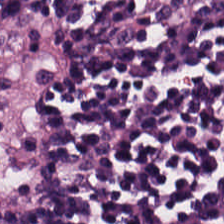Stain: H&E-stained tissue section.
Tissue: lymphoid infiltrate.
